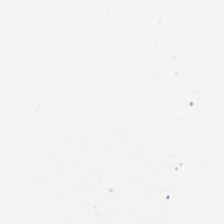Hematoxylin-and-eosin stained section. 20× equivalent magnification.
Empty background.
